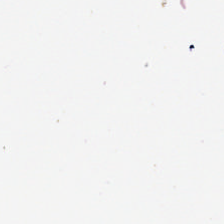H&E-stained tissue section — The classification is background (no tissue).
